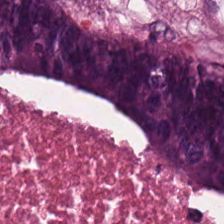Hematoxylin-and-eosin stained section; brightfield. This field is cellular debris.
